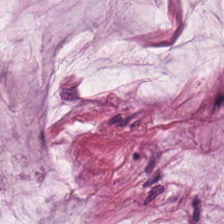Whole-slide-image patch; H&E stain; 224×224 pixel tile. Classification — mucin.
